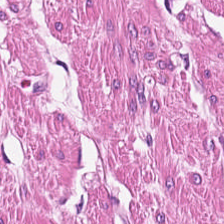Hematoxylin-and-eosin stained section. The tissue here is muscularis.
